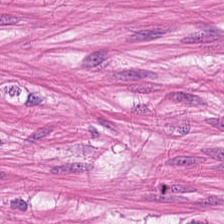Stain: hematoxylin and eosin.
Predominant tissue: smooth muscle.
